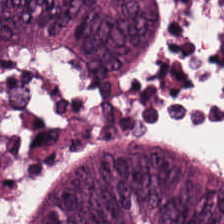H&E-stained tissue section — Finding → tumor epithelium.
